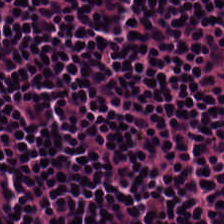Hematoxylin-and-eosin stained section. Predominant tissue: lymphocytes.
